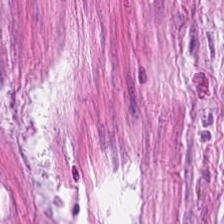Stain: H&E.
Tissue class: smooth muscle.
